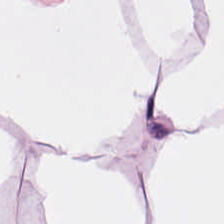Hematoxylin-and-eosin stained section; 0.5 µm per pixel. Q: Identify the tissue.
A: The field shows fat tissue.
